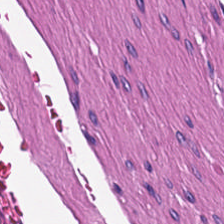Stain: H&E stain.
Acquisition: brightfield microscopy.
Tissue class: smooth muscle.
